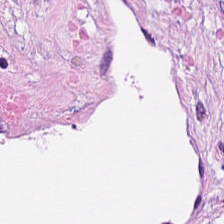H&E. This field is tumor-associated stroma.
